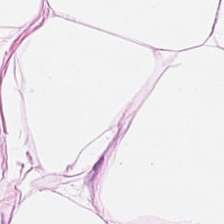Hematoxylin and eosin · brightfield microscopy. This patch shows fat tissue.
